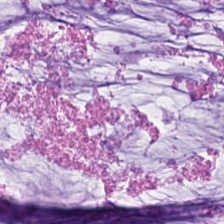Mucus.
